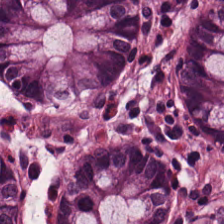Q: What is the predominant tissue type?
A: The field shows non-neoplastic colon mucosa.
